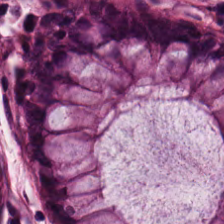Stain: H&E stain.
Tissue type: non-neoplastic colon mucosa.
